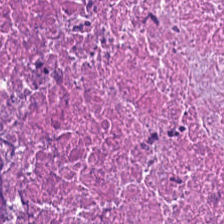Stain: H&E stain.
Tissue class: debris.
